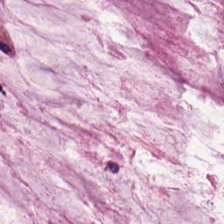Hematoxylin and eosin. Finding — mucin.
